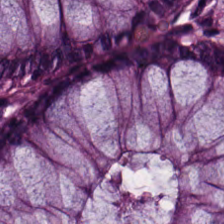H&E; whole-slide-image patch — Tissue = normal colonic mucosa.
